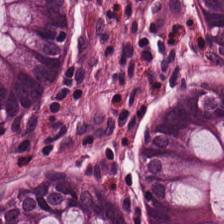H&E-stained tissue section — Q: Identify the tissue.
A: This is benign colonic mucosa.
